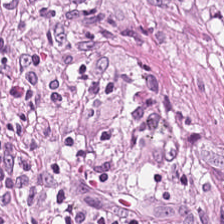20× equivalent magnification. Hematoxylin-and-eosin stained section. 224×224 px patch — Tissue: tumor-associated stroma.
